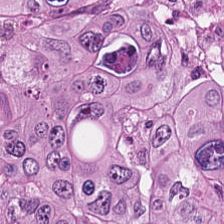Stain: hematoxylin-and-eosin stained section.
Classification: tumor epithelium.
